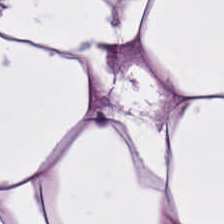This patch shows adipocytes.
